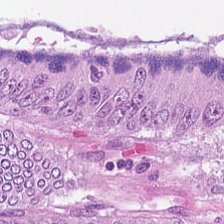H&E-stained tissue section. Tissue type: malignant epithelium.
